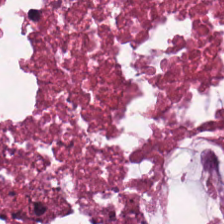Hematoxylin-and-eosin stained section; brightfield. Q: What tissue is shown?
A: Debris.
